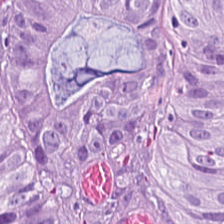The tissue class is colorectal adenocarcinoma.
